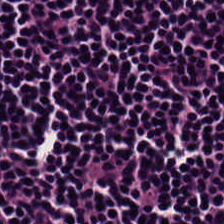H&E stain — Tissue = lymphocyte aggregate.
